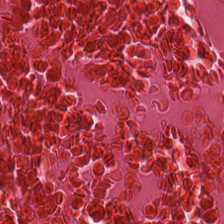H&E stain — Q: What tissue is shown?
A: This is cellular debris.
